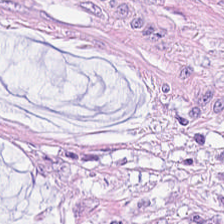Hematoxylin and eosin.
This patch shows extracellular mucin.
